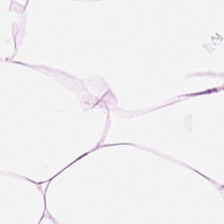H&E stain. This field is adipose tissue.
